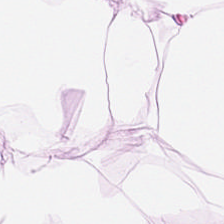H&E.
Predominantly adipose tissue.
